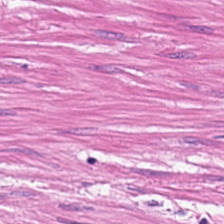Hematoxylin-and-eosin stained section — This patch shows smooth muscle.
